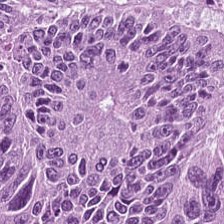Q: What tissue type is shown here?
A: Colorectal adenocarcinoma.
